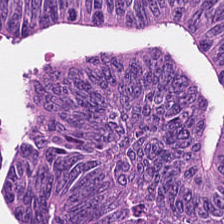Q: What is shown here?
A: This is colorectal adenocarcinoma.
